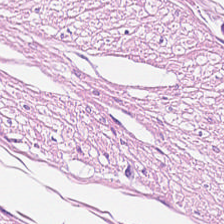Stain: hematoxylin and eosin.
Resolution: 0.5 µm per pixel.
Tile size: 224×224 pixel tile.
Tissue type: muscularis.
